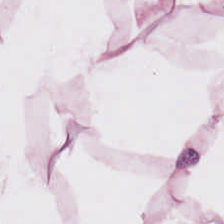Tissue class: adipose tissue.
